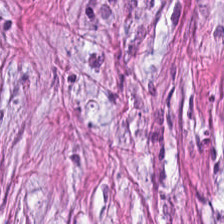Formalin-fixed paraffin-embedded section · hematoxylin-and-eosin stained section.
Q: What does this patch show?
A: This is cancer-associated stroma.
